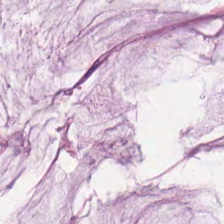WSI patch · H&E stain · 0.5 µm per pixel.
Q: Identify the tissue.
A: Extracellular mucin.
